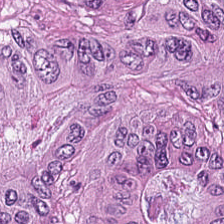Tissue type: malignant epithelium.
